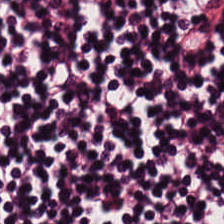H&E stain — {"tissue_type": "lymphoid infiltrate"}
